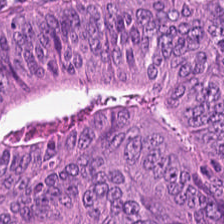224×224 pixel tile. H&E-stained tissue section. 0.5 microns per pixel — Predominantly tumor epithelium.
